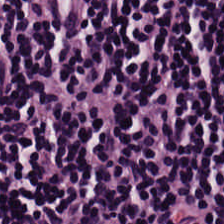H&E-stained tissue section. FFPE tissue section. The tissue here is lymphocytes.
